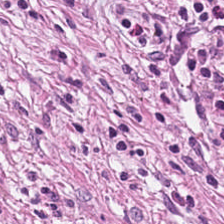Classification = desmoplastic stroma.
